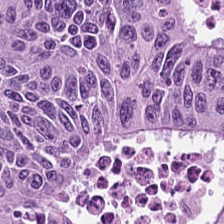Stain: H&E stain.
Tissue type: adenocarcinoma.
